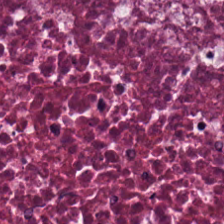H&E-stained tissue section.
Tissue — necrotic debris.
